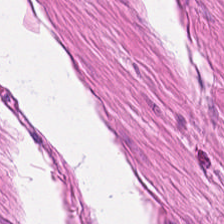H&E-stained tissue section. 224×224 pixel tile.
The tissue here is smooth muscle.
